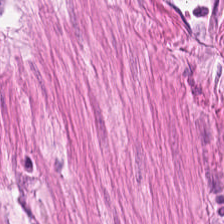224×224 pixel tile · 0.5 µm per pixel · H&E.
Impression — smooth-muscle tissue.
